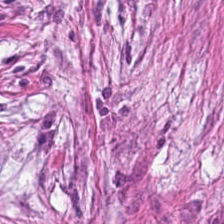H&E-stained section; the field shows tumor stroma.
